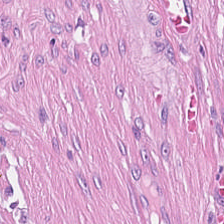Hematoxylin-and-eosin stained section; 0.5 µm per pixel — Finding → desmoplastic stroma.
